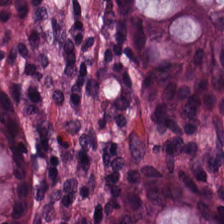The predominant tissue is benign colonic mucosa.
